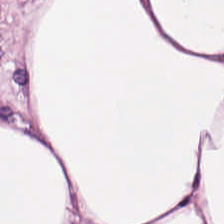H&E.
Fat tissue.
